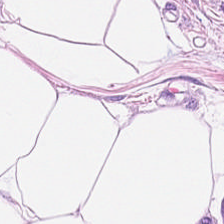Hematoxylin-and-eosin stained section. The tissue here is adipose.
